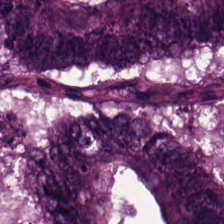Hematoxylin and eosin.
Predominant tissue: tumor epithelium.
